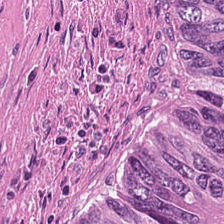H&E-stained tissue section — This field is necrotic debris.
